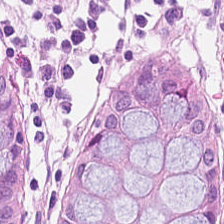Q: What tissue is shown?
A: Normal colonic mucosa.
